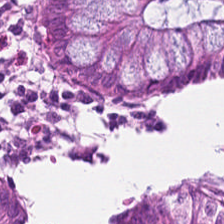Hematoxylin and eosin. This field is non-neoplastic colon mucosa.
